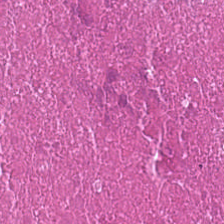H&E stain; 0.5 µm per pixel; brightfield microscopy — Histology → necrotic debris.
